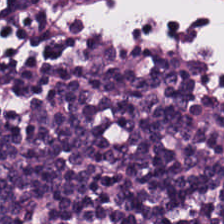FFPE. Hematoxylin-and-eosin stained section — The predominant tissue is lymphocytes.
